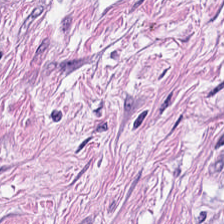Stain: H&E-stained tissue section.
Tile size: 224×224 px tile.
Tissue type: muscularis.
